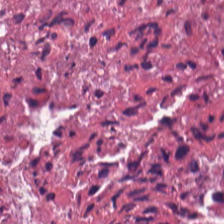Hematoxylin and eosin · 224×224 pixel tile · WSI patch. This field is necrotic debris.
